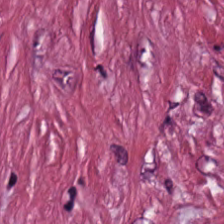Brightfield microscopy; H&E-stained tissue section. Showing tumor-associated stroma.
